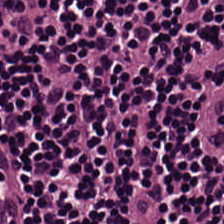0.5 microns per pixel; H&E-stained tissue section. {"tissue_type": "lymphoid infiltrate"}
